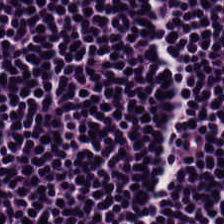H&E — Q: What tissue type is shown here?
A: This is lymphocyte aggregate.
